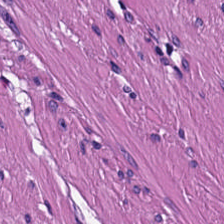Predominant tissue: smooth-muscle tissue.
